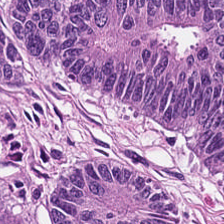Q: What is the predominant tissue type?
A: The field shows adenocarcinoma.
